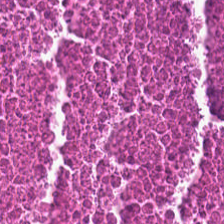H&E stain. Showing necrotic debris.
